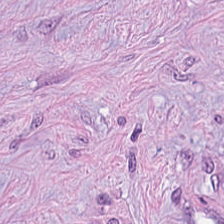H&E stain — Q: Identify the tissue.
A: It is desmoplastic stroma.
